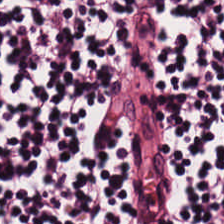Hematoxylin-and-eosin stained section.
{"tissue_type": "lymphocytic infiltrate"}
